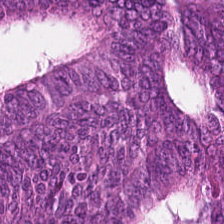Stain: hematoxylin and eosin.
Acquisition: WSI patch.
Classification: adenocarcinoma.
